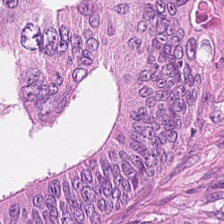H&E-stained tissue section · 20× equivalent magnification · brightfield microscopy. This field is malignant epithelium.
